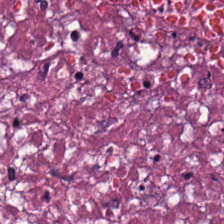Showing necrotic debris.
